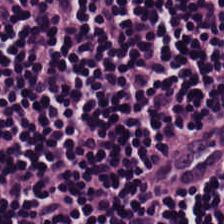0.5 µm/px · formalin-fixed paraffin-embedded section · hematoxylin and eosin.
This field is lymphoid infiltrate.
